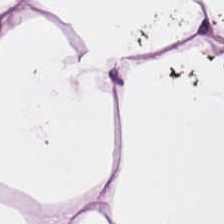Histology — fat tissue.
